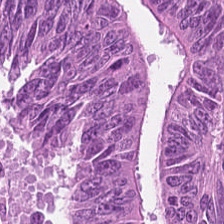Histology — colorectal adenocarcinoma.
